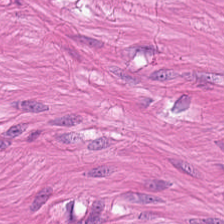Hematoxylin and eosin.
Muscularis.
